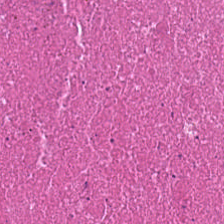FFPE. Hematoxylin-and-eosin stained section. Brightfield microscopy — Q: What does this patch show?
A: Cellular debris.
